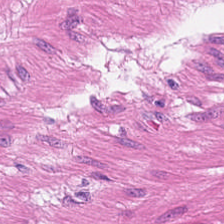Predominant tissue — smooth muscle.
